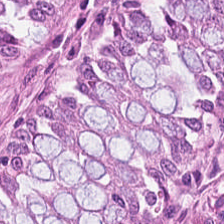Hematoxylin-and-eosin stained section.
Classification — normal colonic mucosa.
